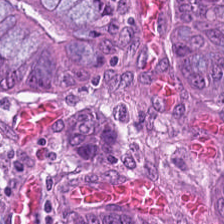224×224 px tile; H&E stain. The predominant tissue is colorectal adenocarcinoma epithelium.
